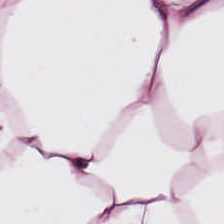H&E-stained tissue section. 0.5 µm per pixel. Whole-slide-image patch. Predominant tissue = fat tissue.
